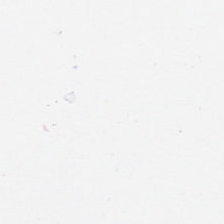H&E-stained tissue section. No tissue present; background only.
